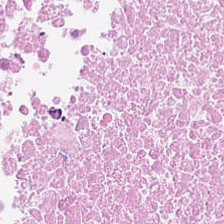H&E. WSI patch.
The predominant tissue is necrotic debris.
